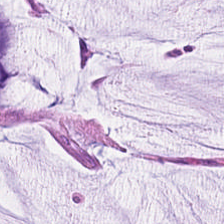Q: What tissue is shown?
A: The field shows extracellular mucin.
